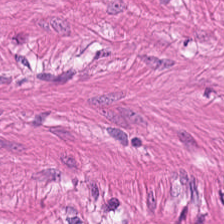Hematoxylin and eosin — {"tissue_type": "muscularis"}
